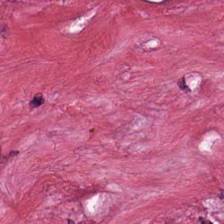H&E-stained tissue section · 0.5 µm per pixel. Q: What is shown here?
A: Cancer-associated stroma.
